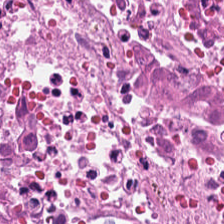Predominant tissue — necrotic debris.
